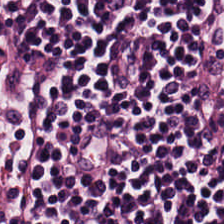H&E.
Tissue class: lymphocyte aggregate.
